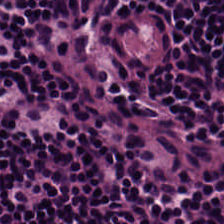20× equivalent magnification; formalin-fixed paraffin-embedded section; hematoxylin and eosin. The tissue here is lymphocyte aggregate.
